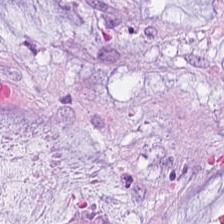H&E stain.
{"tissue_type": "mucin"}
